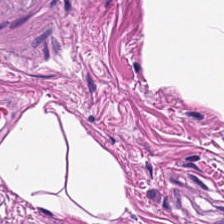Tissue type — muscularis.
